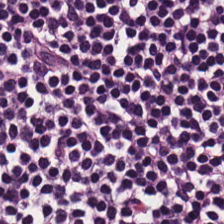224×224 px tile. H&E-stained tissue section — The predominant tissue is lymphocytic infiltrate.
